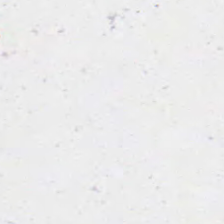H&E.
Empty background.
